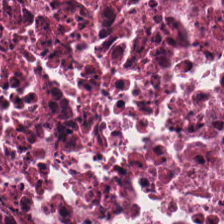Histology — cellular debris.
